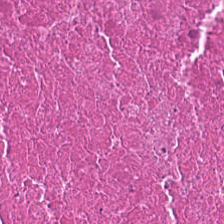H&E stain. {"tissue_type": "necrotic debris"}
